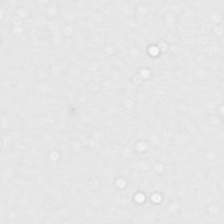Hematoxylin-and-eosin stained section. FFPE tissue section. 0.5 µm/px — The classification is background (no tissue).
